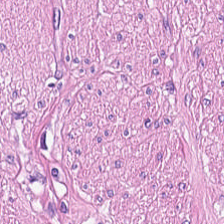WSI patch; H&E-stained tissue section. The tissue type is muscularis.
